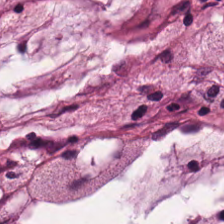224×224 px patch · hematoxylin-and-eosin stained section.
Predominant tissue — mucus.
